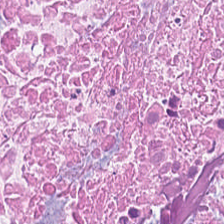Hematoxylin-and-eosin stained section · WSI patch · 224×224 pixel tile.
Q: Identify the tissue.
A: The field shows cellular debris.
